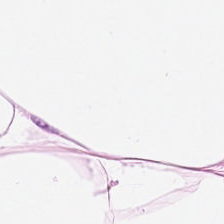224×224 px tile. H&E stain.
Adipocytes.
